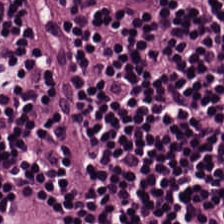H&E · 224×224 pixel tile · 0.5 µm/px. Lymphoid infiltrate.
